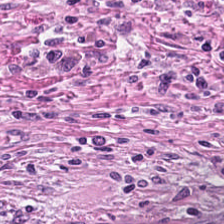Hematoxylin-and-eosin stained section.
The predominant tissue is cancer-associated stroma.
